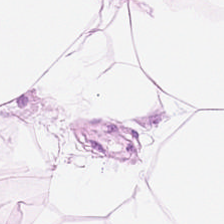H&E-stained tissue section — Showing adipose tissue.
